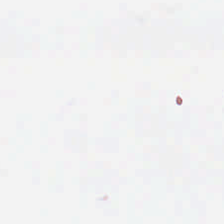Stain: H&E-stained tissue section.
Classification: background.
